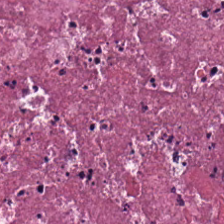Q: What is the predominant tissue type?
A: Necrotic debris.
